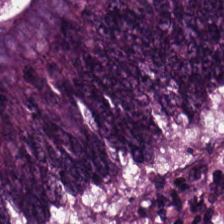Hematoxylin-and-eosin stained section. 0.5 microns per pixel. FFPE — The tissue class is colorectal adenocarcinoma epithelium.
